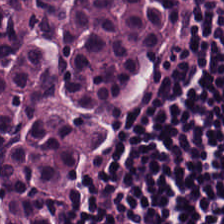Whole-slide-image patch · hematoxylin and eosin. Tissue class: lymphocytic infiltrate.
